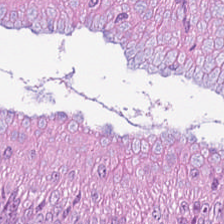The tissue here is adenocarcinoma.
